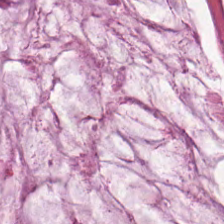Stain: H&E-stained tissue section.
Tissue class: extracellular mucin.
